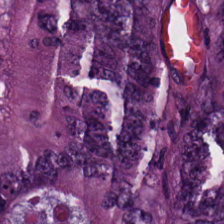Stain: H&E-stained tissue section.
Resolution: 0.5 µm/px.
Preparation: FFPE tissue section.
Classification: adenocarcinoma.
